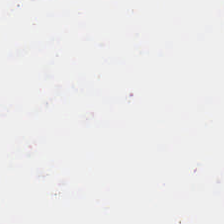H&E.
The content is no tissue.
